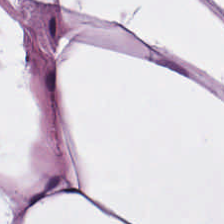Predominant tissue — adipocytes.
